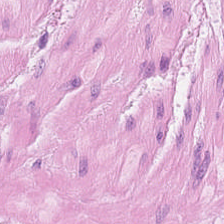Stain: H&E.
Tissue type: smooth-muscle tissue.
